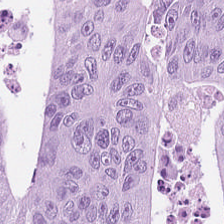H&E — Predominantly malignant epithelium.
